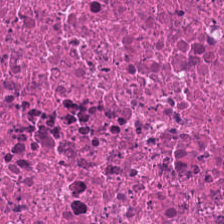H&E stain — Tissue type = cellular debris.
